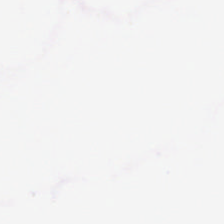Stain: H&E stain.
Tile size: 224×224 px patch.
Content: no tissue.
